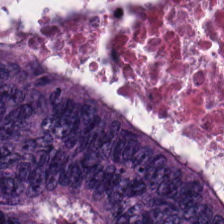H&E patch showing adenocarcinoma.
